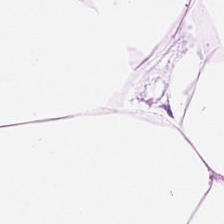Formalin-fixed paraffin-embedded section. H&E-stained tissue section — Q: What is shown here?
A: Fat tissue.
